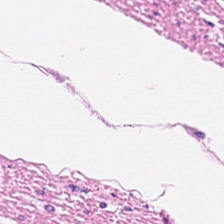Stain: hematoxylin-and-eosin stained section.
Classification: smooth-muscle tissue.
